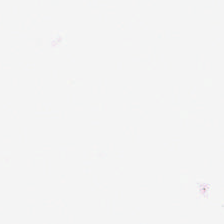FFPE tissue section; hematoxylin and eosin — Classification = empty background.
